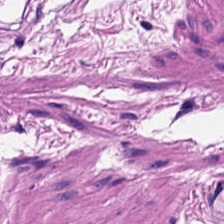Hematoxylin-and-eosin section: smooth-muscle tissue.
